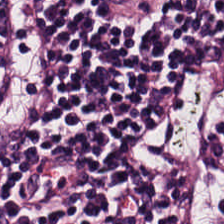H&E.
Q: What tissue is shown?
A: This is lymphoid infiltrate.
